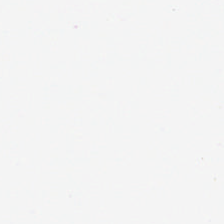Stain: hematoxylin and eosin.
Field content: background.
